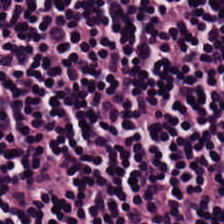Formalin-fixed paraffin-embedded section · H&E · 0.5 µm/px — Showing lymphocytic infiltrate.
